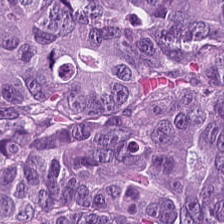Tissue class = colorectal adenocarcinoma epithelium.
